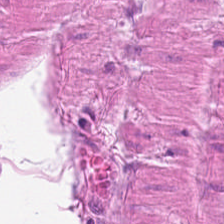H&E-stained tissue section.
This patch shows smooth-muscle tissue.
